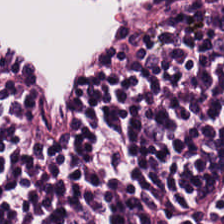Hematoxylin and eosin · 224×224 px tile.
Tissue type — lymphocytes.
